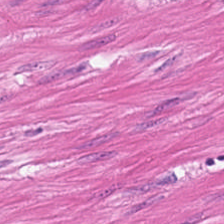Impression — smooth-muscle tissue.
